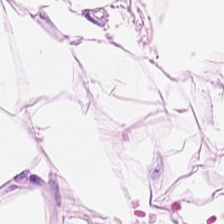H&E — fat tissue.
